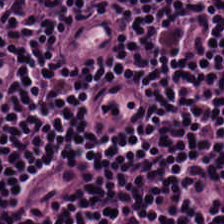Brightfield microscopy; 224×224 px tile; H&E — Predominantly lymphocytic infiltrate.
